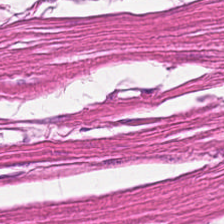H&E — The tissue type is smooth muscle.
